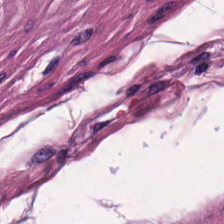0.5 microns per pixel · H&E — Q: What tissue type is shown here?
A: This is smooth muscle.
